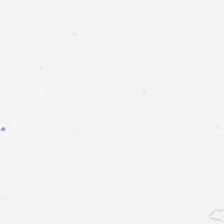Hematoxylin-and-eosin stained section — Q: What is shown here?
A: The field shows empty background.
